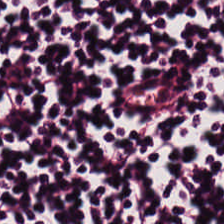Stain: hematoxylin and eosin.
Tile size: 224×224 pixel tile.
Predominant tissue: lymphocyte aggregate.
